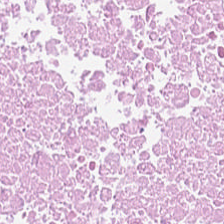Hematoxylin and eosin; 20× equivalent magnification; formalin-fixed paraffin-embedded section.
Impression — necrotic debris.
